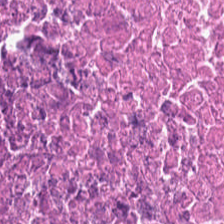Stain: hematoxylin-and-eosin stained section.
Acquisition: whole-slide-image patch.
Predominant tissue: debris.
